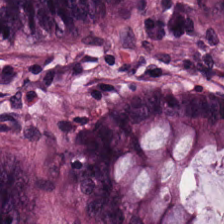Stain: hematoxylin and eosin.
Classification: normal colonic mucosa.
